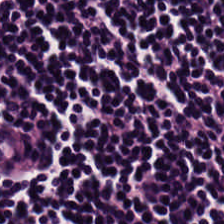Formalin-fixed paraffin-embedded section; H&E stain. The predominant tissue is lymphoid infiltrate.
